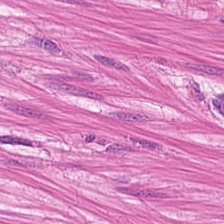H&E. 20× equivalent magnification. Tissue class — smooth-muscle tissue.
